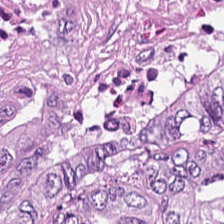H&E — Predominant tissue = malignant epithelium.
